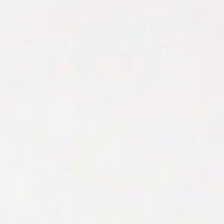H&E; 224×224 px patch; 20× equivalent magnification. This field is background (no tissue).
